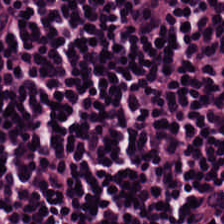Hematoxylin and eosin. The predominant tissue is lymphoid infiltrate.
